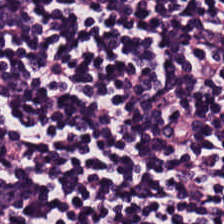This patch shows lymphocytes.
